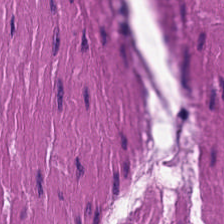WSI patch. Hematoxylin-and-eosin stained section.
The tissue here is muscularis.
